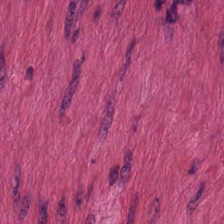H&E stain. Impression — smooth muscle.
